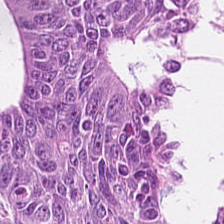H&E; 224×224 px tile. Histology → tumor epithelium.
